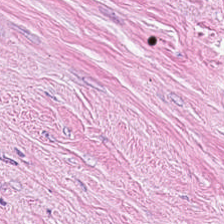H&E. This field is cancer-associated stroma.
